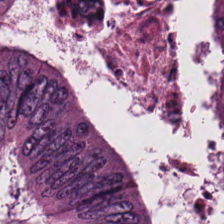224×224 px patch; hematoxylin and eosin. Finding → tumor epithelium.
